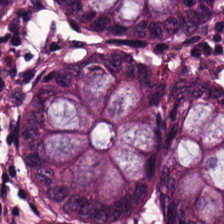H&E stain.
Tissue class: non-neoplastic colon mucosa.
